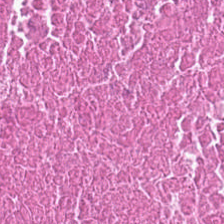Showing cellular debris.
